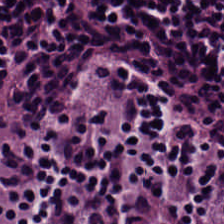H&E.
The predominant tissue is lymphocytic infiltrate.
